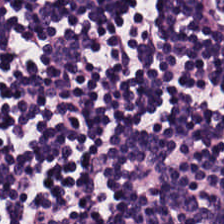H&E.
The predominant tissue is lymphocytes.
